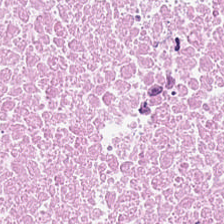Hematoxylin and eosin. Q: What does this patch show?
A: The field shows debris.
